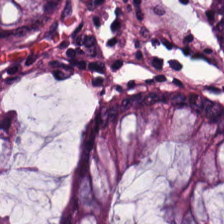H&E stain · 224×224 px patch. The tissue class is non-neoplastic colon mucosa.
